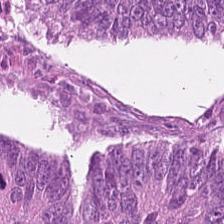H&E stain — Q: What tissue is shown?
A: Colorectal adenocarcinoma epithelium.
